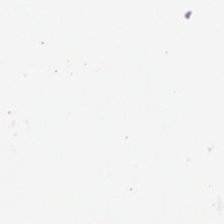Hematoxylin and eosin.
Q: What is shown in this field?
A: This is background.
